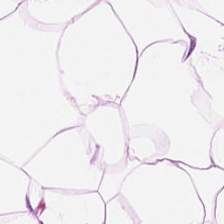FFPE · H&E stain · 0.5 µm per pixel.
Q: What tissue is shown?
A: This is adipocytes.
